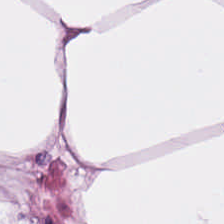Stain: hematoxylin and eosin.
Classification: adipose.
